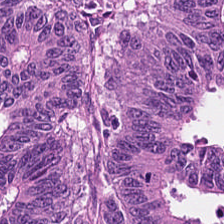Predominant tissue — adenocarcinoma.
